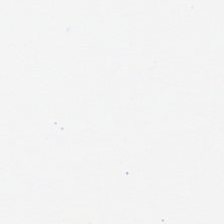224×224 pixel tile. H&E stain. Classification: background (no tissue).
